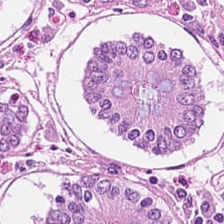H&E stain; 224×224 px patch; WSI patch — This patch shows non-neoplastic colon mucosa.
